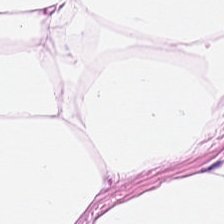FFPE; 224×224 pixel tile; H&E.
Tissue class — adipocytes.
